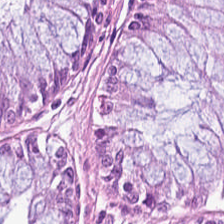H&E. FFPE — Q: What tissue type is shown here?
A: This is normal colon mucosa.
